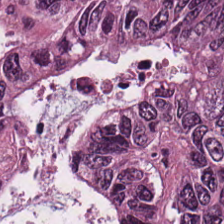Histology → colorectal adenocarcinoma.
